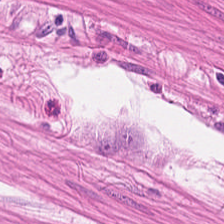Stain: H&E stain.
Classification: muscularis.
